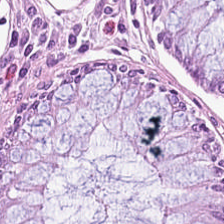H&E patch showing normal colonic mucosa.
